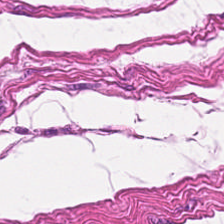Tissue class: smooth muscle.
